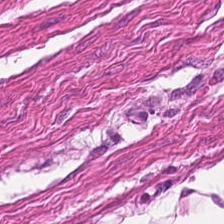H&E stain — Tissue class: smooth muscle.
